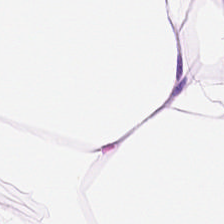H&E stain · brightfield. Impression — fat tissue.
